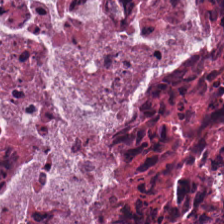H&E-stained tissue section. 224×224 px patch.
The predominant tissue is cellular debris.
